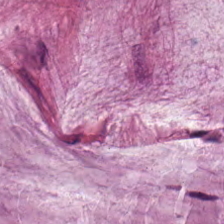Stain: hematoxylin and eosin.
Tile size: 224×224 px patch.
Acquisition: brightfield.
Tissue type: mucus.
